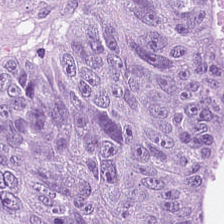Hematoxylin and eosin. This field is colorectal adenocarcinoma.
